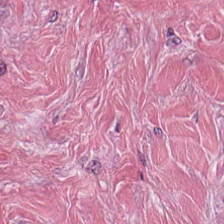Q: What is shown in this field?
A: This is tumor stroma.
